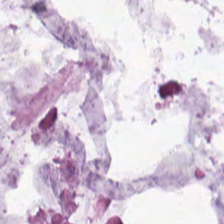Tissue: extracellular mucin.
